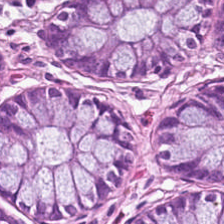Stain: hematoxylin and eosin.
Tissue type: normal colonic mucosa.
